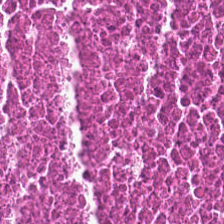This field is cellular debris.
